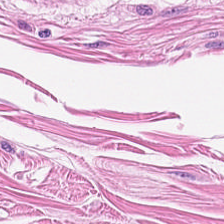H&E stain.
Q: What type of tissue is this?
A: This is muscularis.
